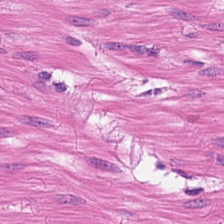0.5 microns per pixel · H&E.
Smooth muscle.
